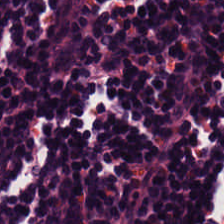Stain: H&E stain.
Tile size: 224×224 pixel tile.
Classification: lymphocytic infiltrate.
